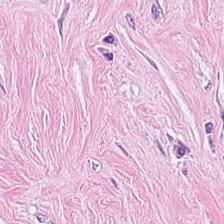Hematoxylin and eosin. Whole-slide-image patch. 0.5 µm/px — {"tissue_type": "cancer-associated stroma"}
